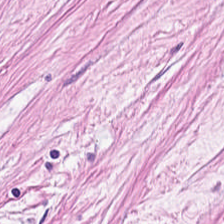Stain: H&E-stained tissue section.
Preparation: FFPE.
Tile size: 224×224 px tile.
Tissue: cancer-associated stroma.
